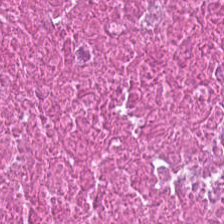FFPE; brightfield; H&E-stained tissue section. {"tissue_type": "necrotic debris"}
